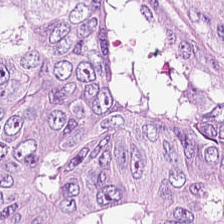0.5 microns per pixel. 224×224 px tile. Hematoxylin-and-eosin stained section. This field is colorectal adenocarcinoma.
